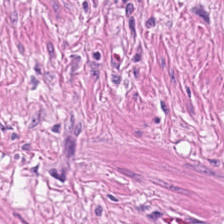The tissue type is smooth muscle.
